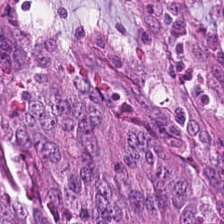H&E-stained tissue section; 0.5 µm per pixel. The tissue here is tumor epithelium.
